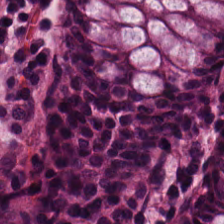H&E. Tissue type: normal colonic mucosa.
